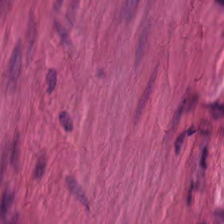Hematoxylin-and-eosin stained section — Predominantly muscularis.
